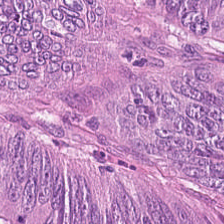Stain: hematoxylin and eosin.
Tile size: 224×224 px patch.
Tissue: colorectal adenocarcinoma epithelium.
